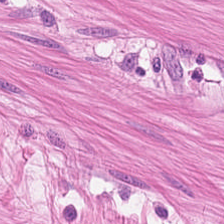Stain: hematoxylin and eosin.
Tissue type: smooth muscle.
